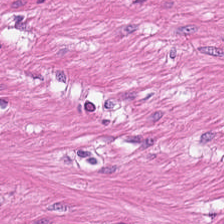H&E.
Q: What type of tissue is this?
A: Muscularis.
